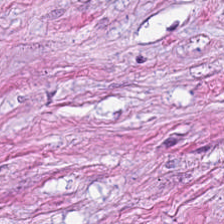H&E stain · formalin-fixed paraffin-embedded section · 224×224 pixel tile — Showing tumor stroma.
